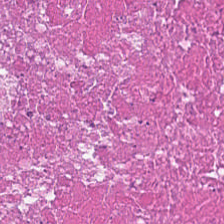Hematoxylin-and-eosin stained section.
Classification: debris.
